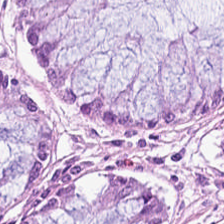H&E — The predominant tissue is normal colon mucosa.
